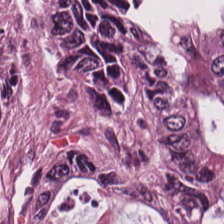Finding → colorectal adenocarcinoma epithelium.
